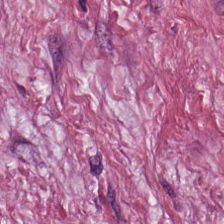H&E-stained section; the field shows tumor stroma.
